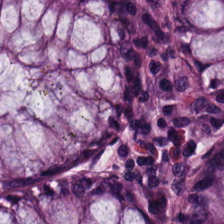Stain: H&E-stained tissue section.
Predominant tissue: benign colonic mucosa.
